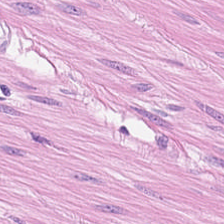Hematoxylin-and-eosin stained section. Showing smooth-muscle tissue.
